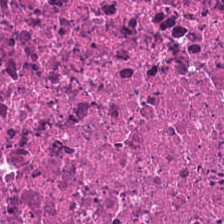H&E — Tissue class: necrotic debris.
